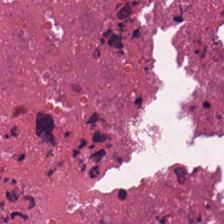Stain: hematoxylin-and-eosin stained section.
Tissue type: cellular debris.
